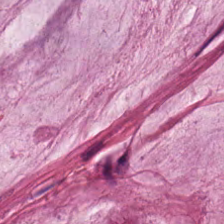224×224 pixel tile; H&E-stained tissue section; FFPE.
Finding → mucin.
